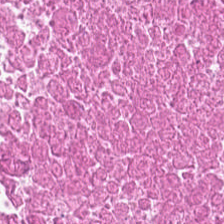H&E-stained tissue section showing cellular debris.
